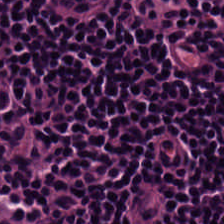Hematoxylin and eosin. Brightfield microscopy — Predominantly lymphocyte aggregate.
